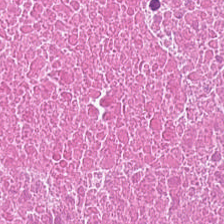Hematoxylin and eosin. Impression — debris.
